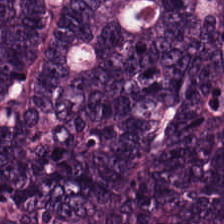H&E-stained tissue section — Predominant tissue: colorectal adenocarcinoma.
